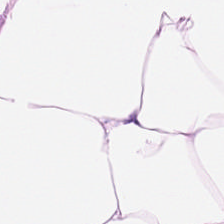H&E. Predominant tissue = adipose tissue.
